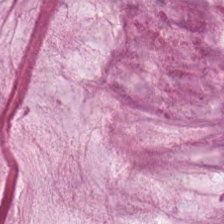Tissue type: extracellular mucin.
